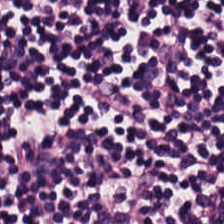224×224 px patch; H&E. Q: What is shown in this field?
A: Lymphocytic infiltrate.
